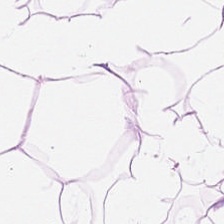Q: What is the predominant tissue type?
A: This is fat tissue.
